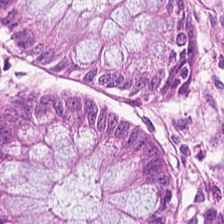The tissue here is normal colonic mucosa.
